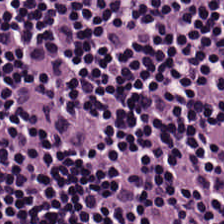20× equivalent magnification; WSI patch; hematoxylin-and-eosin stained section. {"tissue_type": "lymphocyte aggregate"}
